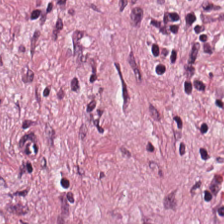H&E stain; brightfield. Predominant tissue — desmoplastic stroma.
